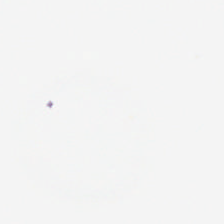H&E — Impression — no tissue.
